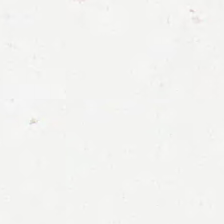20× equivalent magnification; hematoxylin and eosin. The content is background.
